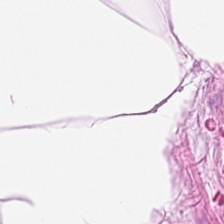Hematoxylin and eosin.
Fat tissue.
